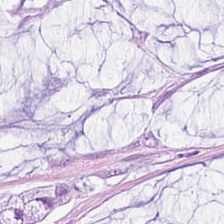H&E stain. Classification — mucin.
